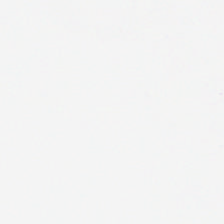{"content": "no tissue"}
